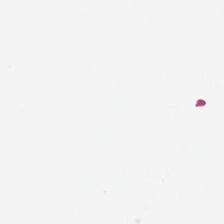This patch shows background.
